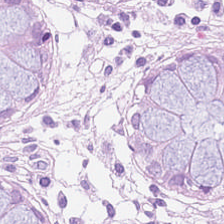H&E-stained tissue section — {"tissue_type": "benign colonic mucosa"}
